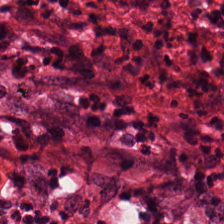Stain: H&E-stained tissue section.
Tissue type: tumor-associated stroma.
